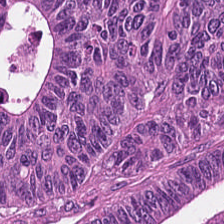H&E — Q: Identify the tissue.
A: The field shows malignant epithelium.
